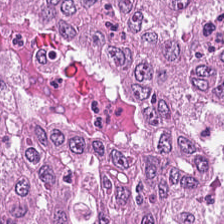Whole-slide-image patch · hematoxylin and eosin — Tissue: colorectal adenocarcinoma epithelium.
